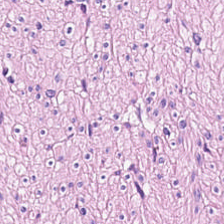Q: What tissue is shown?
A: It is smooth-muscle tissue.
